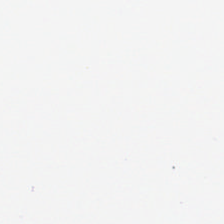H&E stain.
This field is background (no tissue).
